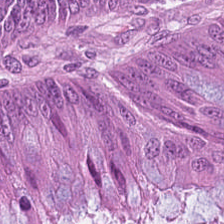H&E-stained tissue section showing tumor epithelium.
